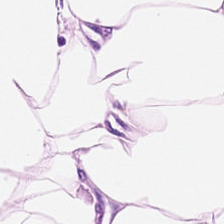H&E stain. WSI patch. Q: Identify the tissue.
A: The field shows adipose tissue.
